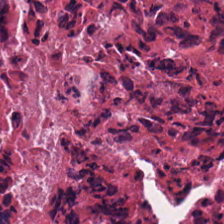H&E. Q: What tissue type is shown here?
A: Cellular debris.
